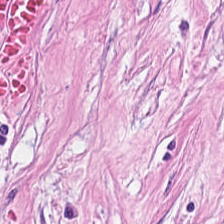Q: Identify the tissue.
A: Desmoplastic stroma.
